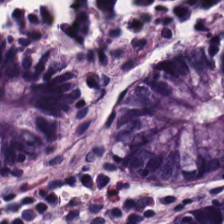FFPE · H&E. Finding → non-neoplastic colon mucosa.
